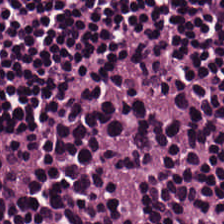Predominantly lymphocytes.
